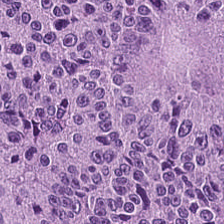224×224 px tile. Hematoxylin-and-eosin stained section. Tissue type = adenocarcinoma.
